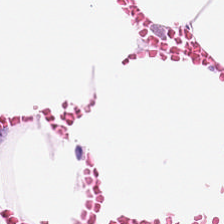224×224 px tile. H&E — Q: What tissue type is shown here?
A: It is adipose tissue.
